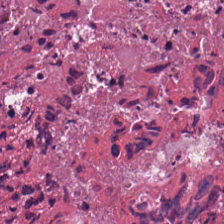Hematoxylin-and-eosin stained section.
Predominant tissue — necrotic debris.
